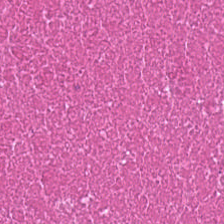Predominantly debris.
